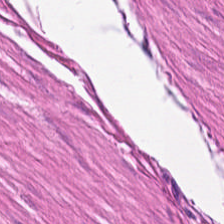H&E-stained tissue section; 224×224 px patch.
The predominant tissue is muscularis.
